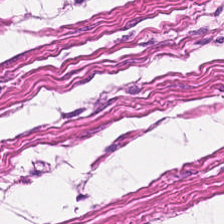Hematoxylin and eosin.
Showing smooth-muscle tissue.
